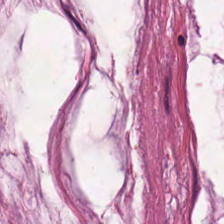224×224 pixel tile; hematoxylin-and-eosin stained section.
Impression → mucin.
